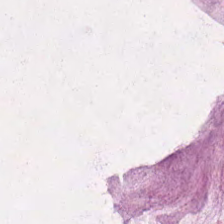Q: Classify this patch.
A: The field shows mucus.
